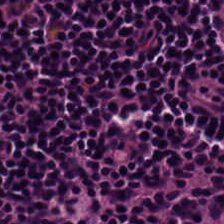Hematoxylin and eosin · whole-slide-image patch · formalin-fixed paraffin-embedded section. This field is lymphocytic infiltrate.
